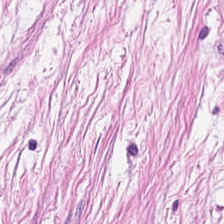Stain: H&E.
Predominant tissue: desmoplastic stroma.
